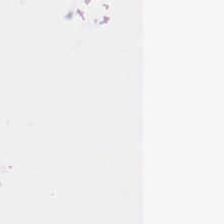224×224 pixel tile. Hematoxylin and eosin — Histology — empty background.
